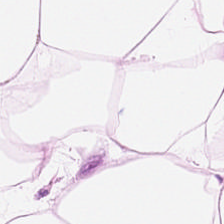Brightfield; H&E stain — {"tissue_type": "adipose"}
